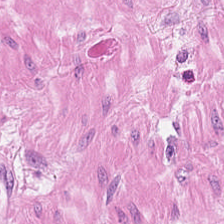H&E-stained tissue section. 224×224 px patch.
Histology — smooth muscle.
